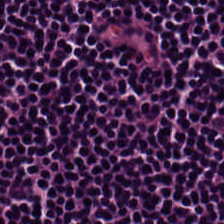Stain: H&E-stained tissue section.
Tissue: lymphocytic infiltrate.
